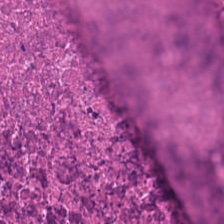Hematoxylin-and-eosin stained section · whole-slide-image patch.
Histology — cellular debris.
